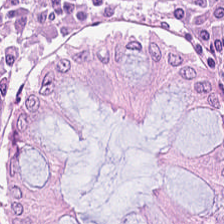H&E-stained tissue section. 224×224 px patch. Showing non-neoplastic colon mucosa.
